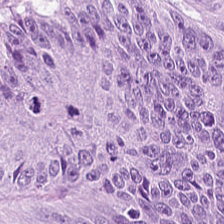Brightfield; H&E stain. Predominantly malignant epithelium.
